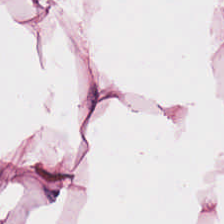FFPE tissue section. H&E-stained tissue section.
This field is fat tissue.
